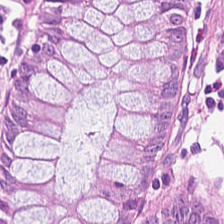Hematoxylin and eosin. 0.5 µm per pixel. 224×224 px tile.
Finding — normal colon mucosa.
